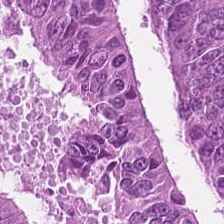Q: What is shown here?
A: The field shows colorectal adenocarcinoma.
